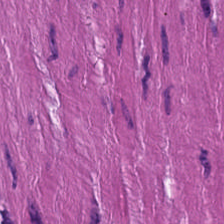224×224 px patch · hematoxylin and eosin.
Showing smooth-muscle tissue.
